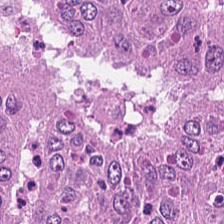Showing colorectal adenocarcinoma.
